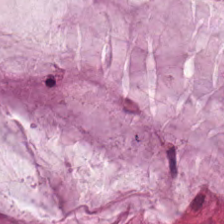H&E — The predominant tissue is extracellular mucin.
